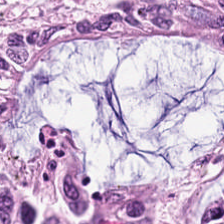H&E; 224×224 px patch. The predominant tissue is malignant epithelium.
